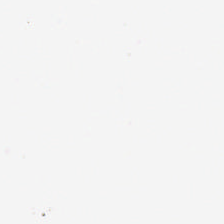Hematoxylin and eosin.
Classification: background (no tissue).
